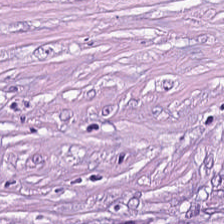Q: Classify this patch.
A: Tumor stroma.
